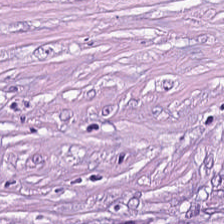Q: Classify this patch.
A: Tumor stroma.
